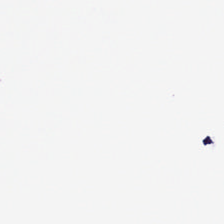H&E. Formalin-fixed paraffin-embedded section. {"content": "background"}
